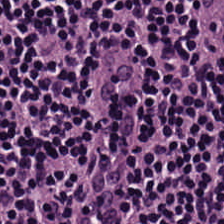Hematoxylin and eosin.
Tissue = lymphocyte aggregate.
